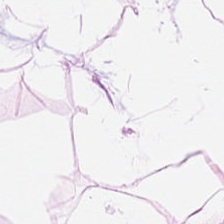H&E-stained tissue section · 0.5 µm/px. The predominant tissue is adipose.
